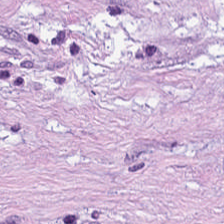224×224 px patch. H&E stain — Q: What is shown here?
A: The field shows cancer-associated stroma.
